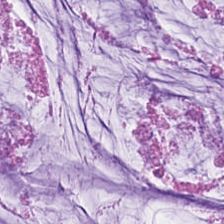Brightfield microscopy; FFPE tissue section; hematoxylin-and-eosin stained section.
Q: What is the predominant tissue type?
A: The field shows extracellular mucin.
